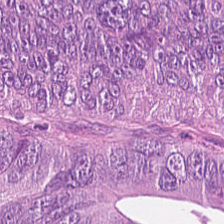H&E · 224×224 px patch · 0.5 µm/px. This field is adenocarcinoma.
